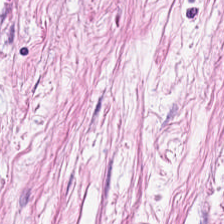0.5 microns per pixel; H&E; 224×224 px tile.
Histology → desmoplastic stroma.
